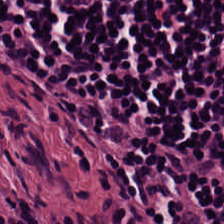Tissue class = lymphocytes.
